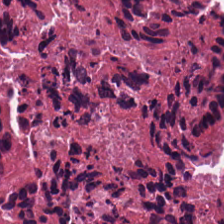This field is cellular debris.
